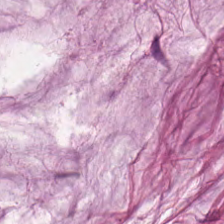0.5 microns per pixel · H&E-stained tissue section. Classification: extracellular mucin.
